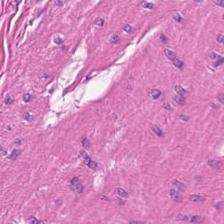H&E — The tissue here is smooth muscle.
